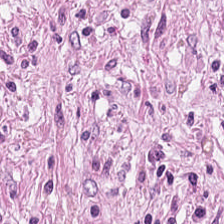H&E · 0.5 µm/px. {"tissue_type": "desmoplastic stroma"}
